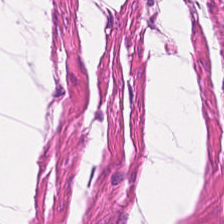{"tissue_type": "muscularis"}
